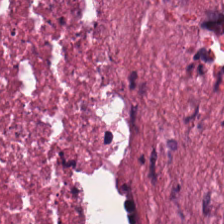H&E. The predominant tissue is debris.
